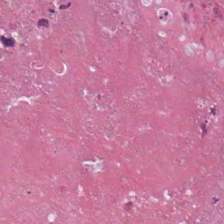Showing necrotic debris.
